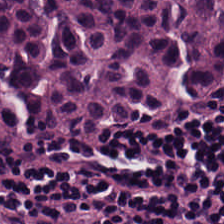H&E-stained tissue section; 224×224 px tile; formalin-fixed paraffin-embedded section. Tissue type = lymphocyte aggregate.
